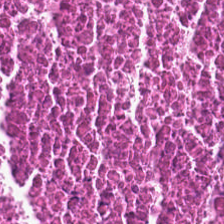WSI patch; hematoxylin-and-eosin stained section — This patch shows cellular debris.
